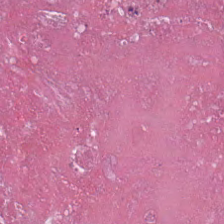H&E-stained tissue section. Debris.
